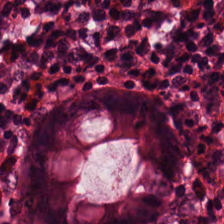224×224 px tile · H&E.
Predominantly benign colonic mucosa.
